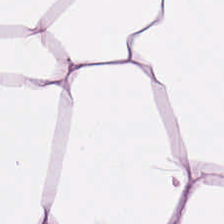224×224 px patch · hematoxylin-and-eosin stained section.
Q: What tissue type is shown here?
A: This is fat tissue.
